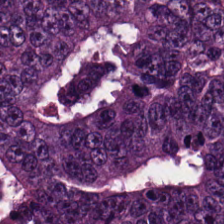The tissue is colorectal adenocarcinoma epithelium.
